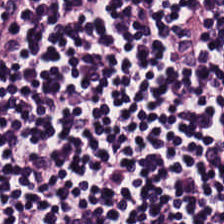H&E-stained tissue section. FFPE tissue section.
{"tissue_type": "lymphocyte aggregate"}
